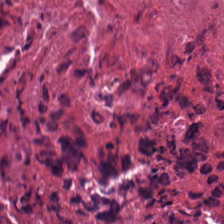H&E stain. Predominantly debris.
